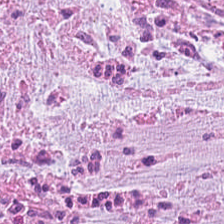Hematoxylin and eosin. {"tissue_type": "tumor-associated stroma"}
